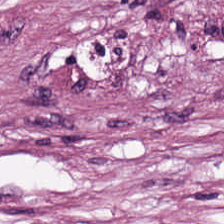Stain: H&E-stained tissue section.
Resolution: 0.5 µm per pixel.
Tile size: 224×224 px tile.
Tissue: desmoplastic stroma.
